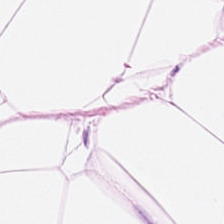Hematoxylin and eosin · 0.5 µm/px. Tissue class — adipose.
